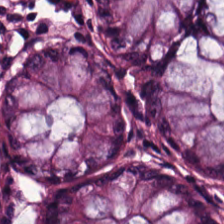The tissue class is normal colon mucosa.
